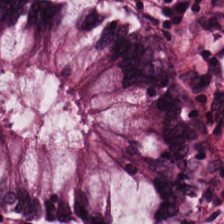This patch shows non-neoplastic colon mucosa.
